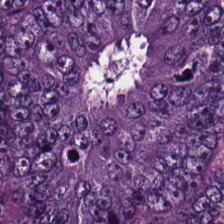H&E-stained tissue section. The predominant tissue is tumor epithelium.
